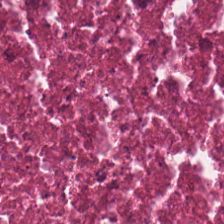H&E stain. 224×224 pixel tile. Formalin-fixed paraffin-embedded section.
The tissue here is debris.
